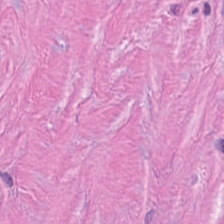Whole-slide-image patch; H&E-stained tissue section — The tissue is tumor stroma.
